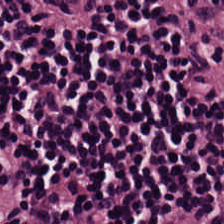Whole-slide-image patch. H&E-stained tissue section. The classification is lymphoid infiltrate.
